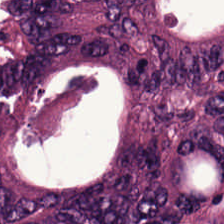Stain: hematoxylin and eosin.
Preparation: FFPE tissue section.
Classification: adenocarcinoma.
